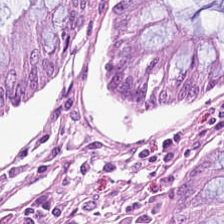Hematoxylin and eosin — Showing normal colonic mucosa.
